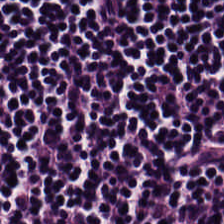H&E-stained tissue section · 20× equivalent magnification. The tissue here is lymphocytes.
